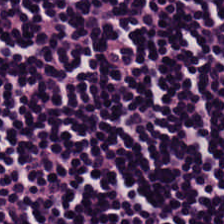224×224 px patch. H&E stain.
Histology — lymphocytes.
